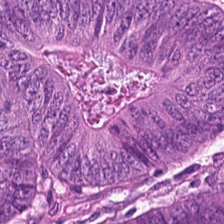0.5 µm/px. H&E stain — The predominant tissue is adenocarcinoma.
